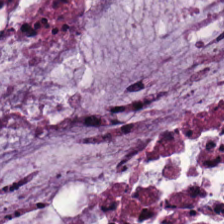Mucin.
